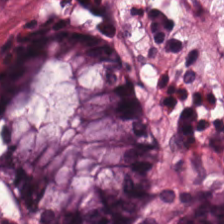Formalin-fixed paraffin-embedded section · H&E · 224×224 px tile.
Q: What does this patch show?
A: This is non-neoplastic colon mucosa.
